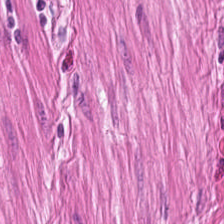Stain: H&E.
Predominant tissue: smooth muscle.
